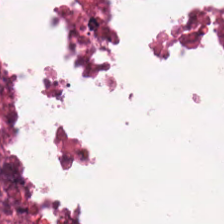224×224 pixel tile. H&E — This patch shows cellular debris.
